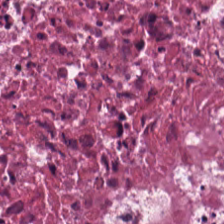H&E stain. Impression → cellular debris.
